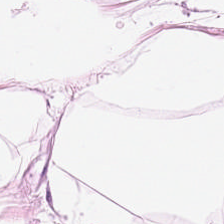Fat tissue.
